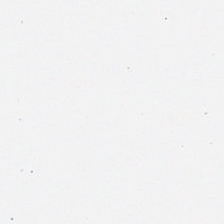H&E-stained tissue section.
Field content: empty background.
